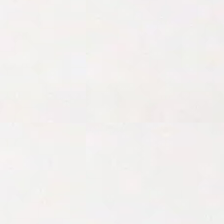H&E stain · brightfield microscopy. Background (no tissue).
